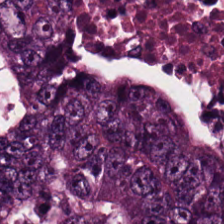The classification is malignant epithelium.
